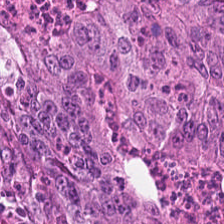Tissue type: adenocarcinoma.
